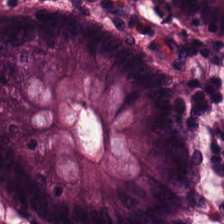Hematoxylin-and-eosin stained section — Showing normal colonic mucosa.
